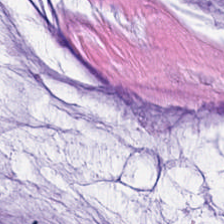The predominant tissue is mucus.
